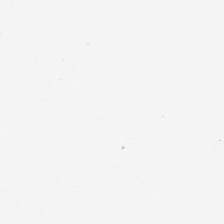H&E-stained tissue section · brightfield microscopy. Background.
